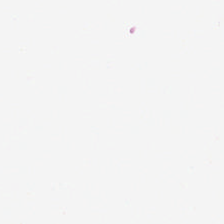Field content = no tissue.
